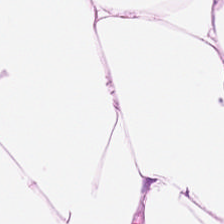Brightfield microscopy. H&E stain. 0.5 microns per pixel — {"tissue_type": "fat tissue"}
